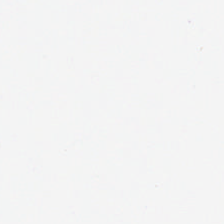H&E stain — Empty field — no tissue.
